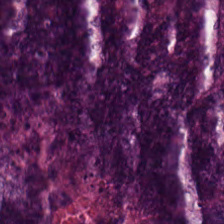Formalin-fixed paraffin-embedded section. Hematoxylin and eosin. Classification: adenocarcinoma.
